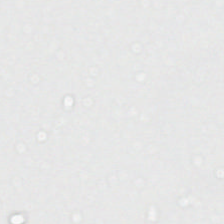H&E stain. The field content is no tissue.
